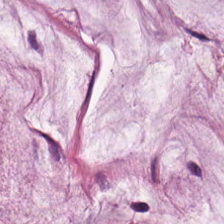Predominant tissue = mucus.
